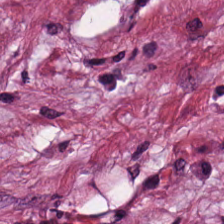Formalin-fixed paraffin-embedded section; hematoxylin and eosin — {"tissue_type": "desmoplastic stroma"}
